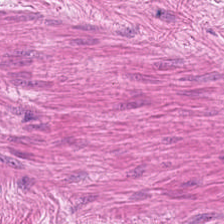Stain: hematoxylin and eosin.
Preparation: FFPE tissue section.
Tissue type: smooth muscle.
